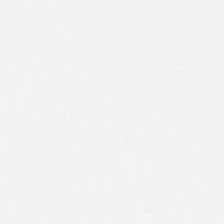H&E. Formalin-fixed paraffin-embedded section. This field is background (no tissue).
